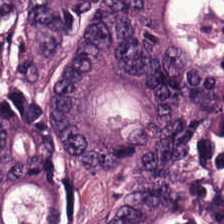H&E · 224×224 px tile — Predominantly colorectal adenocarcinoma.
